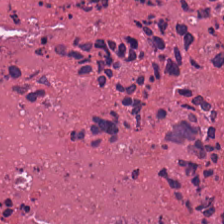Hematoxylin and eosin. Showing debris.
